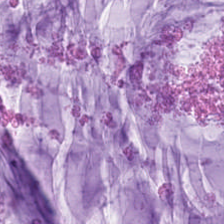FFPE. Hematoxylin-and-eosin stained section. 224×224 pixel tile.
Tissue class — mucin.
